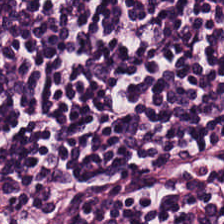Hematoxylin and eosin. Classification = lymphocytes.
